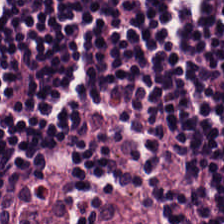Hematoxylin-and-eosin stained section. FFPE — The tissue class is lymphocyte aggregate.
